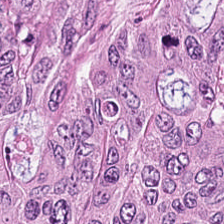0.5 microns per pixel; H&E stain.
Q: Identify the tissue.
A: This is colorectal adenocarcinoma epithelium.
